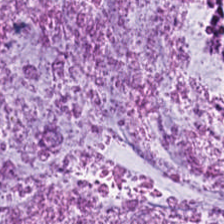Stain: H&E.
Preparation: FFPE tissue section.
Tissue class: extracellular mucin.
